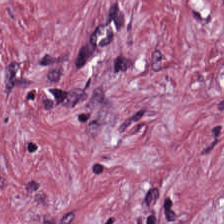Stain: H&E-stained tissue section.
Tissue: tumor stroma.
